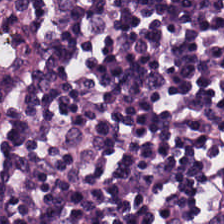H&E.
The predominant tissue is lymphocytes.
